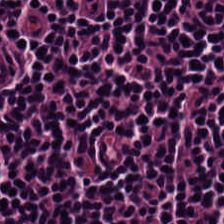Hematoxylin-and-eosin stained section · 224×224 px tile.
This patch shows lymphocyte aggregate.
